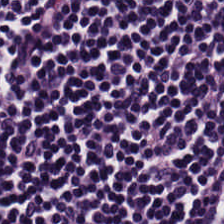224×224 px patch; H&E stain. The tissue here is lymphocytic infiltrate.
